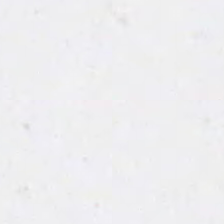Field content — empty background.
